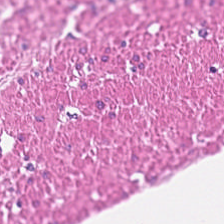Predominant tissue — smooth muscle.
